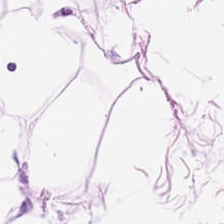FFPE tissue section · 0.5 µm/px · H&E.
Q: What is shown here?
A: It is adipocytes.
